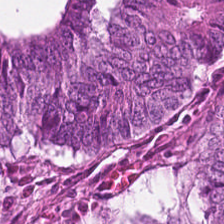Hematoxylin and eosin — Histology → colorectal adenocarcinoma epithelium.
